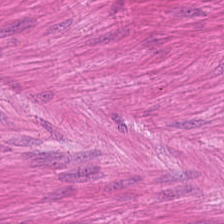Hematoxylin-and-eosin stained section — Predominantly muscularis.
